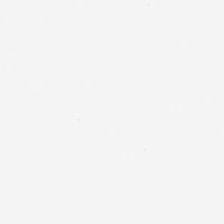H&E-stained tissue section — This patch shows background.
